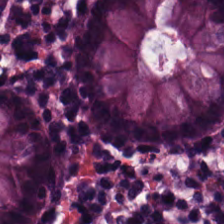WSI patch; 0.5 µm/px; H&E-stained tissue section — The tissue here is normal colon mucosa.
